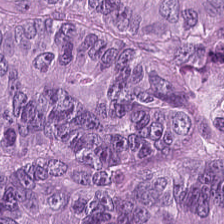Hematoxylin and eosin. Tissue = colorectal adenocarcinoma epithelium.
